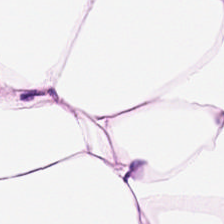H&E stain.
The classification is adipose.
